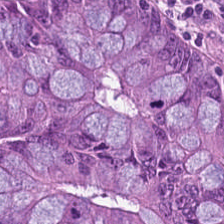Hematoxylin-and-eosin stained section. Predominantly colorectal adenocarcinoma.
